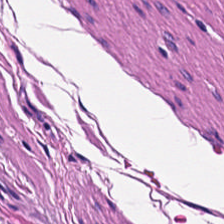Stain: H&E stain.
Predominant tissue: smooth muscle.
